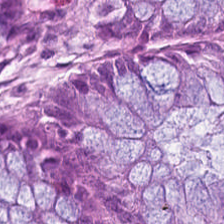FFPE tissue section. H&E — Classification: normal colon mucosa.
